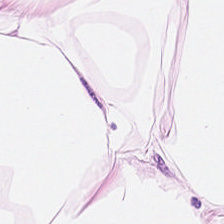H&E stain. 224×224 px tile. Q: What is shown in this field?
A: It is fat tissue.
